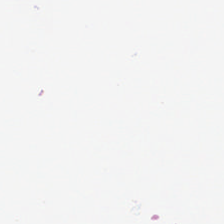0.5 microns per pixel; hematoxylin and eosin.
Impression → no tissue.
